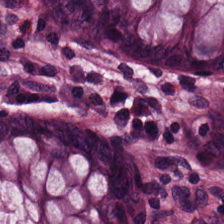20× equivalent magnification; FFPE tissue section; H&E — Finding — normal colon mucosa.
